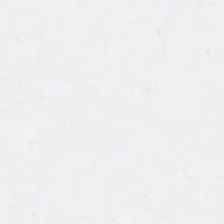H&E stain — No tissue present; background only.
